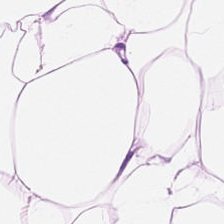Stain: hematoxylin-and-eosin stained section.
Tissue class: adipose tissue.
